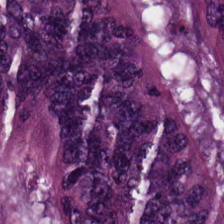Stain: H&E stain.
Preparation: FFPE.
Tile size: 224×224 px tile.
Tissue type: tumor epithelium.
